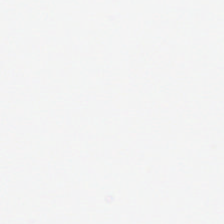H&E-stained tissue section. Q: Classify this patch.
A: The field shows background (no tissue).
